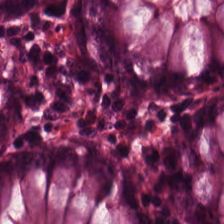H&E. Finding → non-neoplastic colon mucosa.
